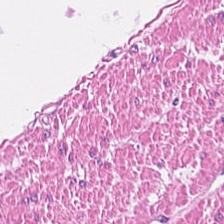Hematoxylin and eosin. {"tissue_type": "smooth-muscle tissue"}
